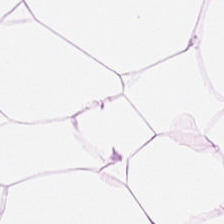Stain: hematoxylin and eosin.
Acquisition: brightfield.
Tissue type: adipocytes.
